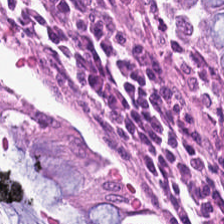Hematoxylin-and-eosin stained section. Brightfield.
Q: What is shown in this field?
A: This is benign colonic mucosa.
